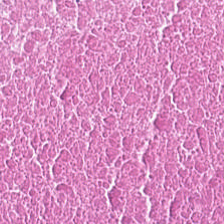H&E stain · 0.5 microns per pixel · 224×224 px patch — The predominant tissue is cellular debris.
